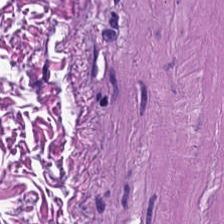H&E. Impression → smooth muscle.
